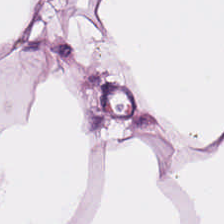H&E.
Q: Classify this patch.
A: This is fat tissue.
